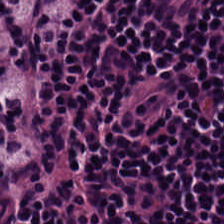Tissue class — lymphoid infiltrate.
